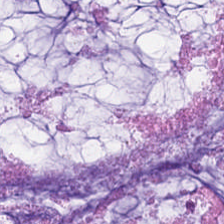20× equivalent magnification; hematoxylin-and-eosin stained section; brightfield. The tissue class is mucin.
